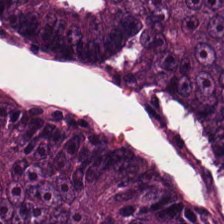H&E stain. {"tissue_type": "tumor epithelium"}
